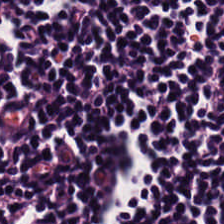Hematoxylin and eosin.
Predominantly lymphocytes.
